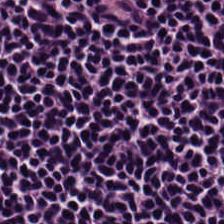H&E. Histology → lymphoid infiltrate.
